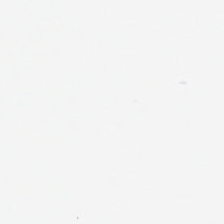Hematoxylin and eosin — Background — no tissue in this field.
